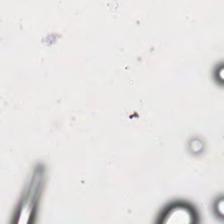Stain: H&E stain.
Content: background.
